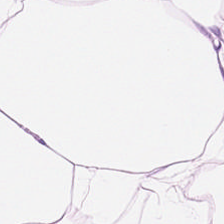FFPE tissue section; H&E — The tissue here is adipocytes.
